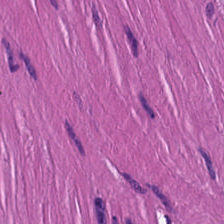H&E-stained tissue section · 20× equivalent magnification — The classification is smooth-muscle tissue.
